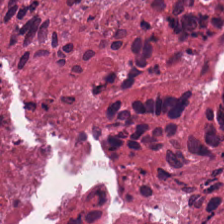0.5 microns per pixel. FFPE tissue section. Hematoxylin and eosin.
Tissue type — debris.
